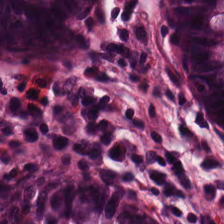Hematoxylin-and-eosin stained section.
Tissue: non-neoplastic colon mucosa.
